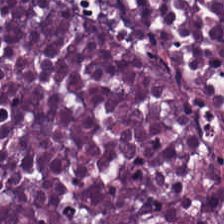H&E-stained tissue section.
Showing necrotic debris.
